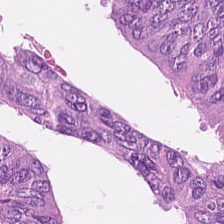H&E.
The classification is colorectal adenocarcinoma.
